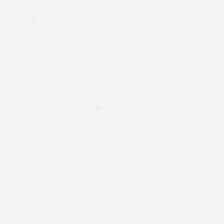The content is background (no tissue).
